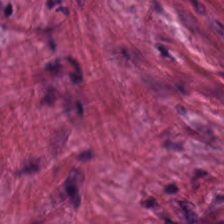H&E-stained section; the field shows desmoplastic stroma.
